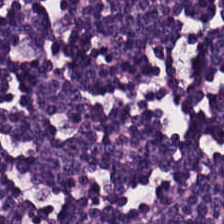Hematoxylin-and-eosin stained section. 20× equivalent magnification. FFPE — Tissue: lymphocytic infiltrate.
